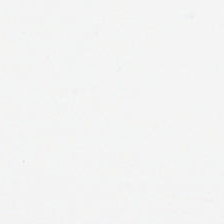H&E.
Field content = background.
